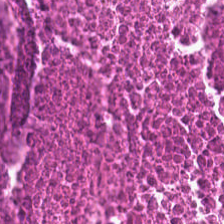Hematoxylin and eosin; FFPE; 224×224 px patch. Tissue class = necrotic debris.
